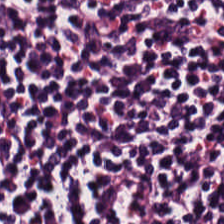Impression — lymphocytic infiltrate.
